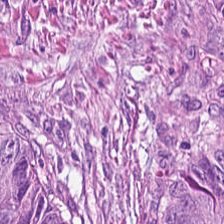H&E stain — Classification: malignant epithelium.
